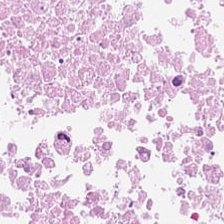H&E. Q: What tissue type is shown here?
A: Necrotic debris.
